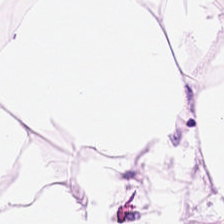H&E — Tissue type — adipose tissue.
